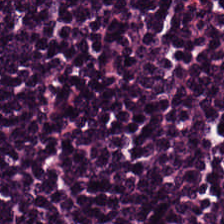Hematoxylin and eosin.
Showing lymphocytes.
